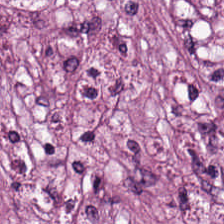Hematoxylin and eosin — Predominantly tumor-associated stroma.
